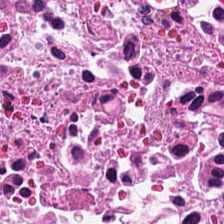0.5 microns per pixel. H&E-stained tissue section — Classification — cellular debris.
